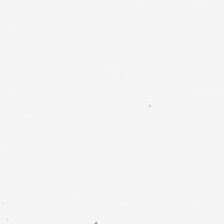H&E stain. Content — background (no tissue).
